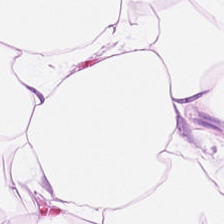Stain: H&E.
Preparation: FFPE tissue section.
Tissue type: adipose tissue.
